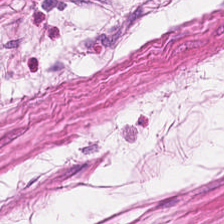The tissue class is smooth muscle.
